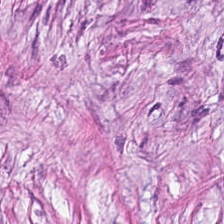The predominant tissue is desmoplastic stroma.
